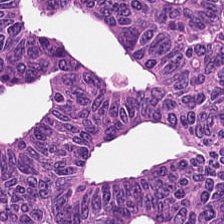H&E stain. The tissue type is malignant epithelium.
